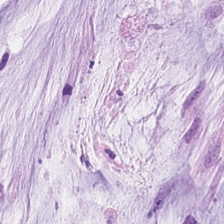0.5 microns per pixel. 224×224 px patch. H&E — Tissue class — mucin.
